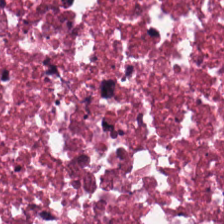Hematoxylin and eosin; 0.5 µm/px — Q: What tissue is shown?
A: Debris.
